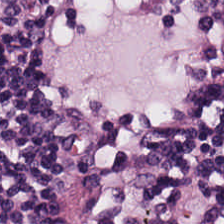H&E stain — Lymphocytic infiltrate.
